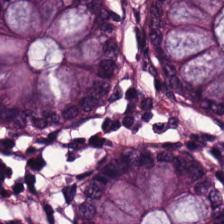Impression — normal colonic mucosa.
